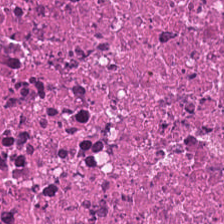H&E stain. Brightfield microscopy — Showing necrotic debris.
